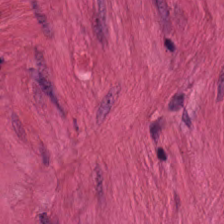Predominantly smooth-muscle tissue.
